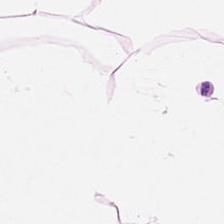Hematoxylin-and-eosin stained section · formalin-fixed paraffin-embedded section.
The tissue here is adipose.
